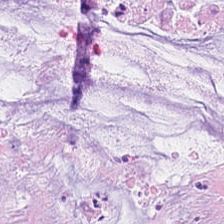Tissue — mucus.
